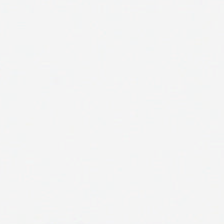H&E. Empty field — empty background.
